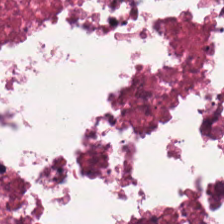Tissue type — debris.
